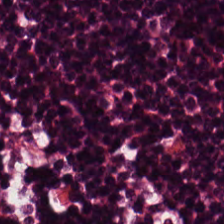H&E stain; FFPE tissue section. Predominant tissue — lymphoid infiltrate.
